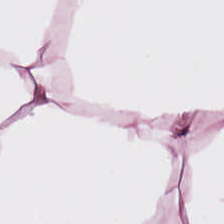H&E — Predominant tissue = adipose tissue.
